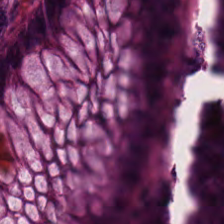H&E.
Q: What tissue type is shown here?
A: It is non-neoplastic colon mucosa.
